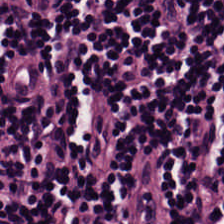Predominantly lymphocyte aggregate.
